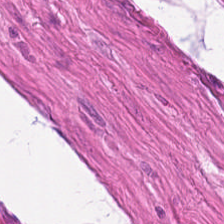H&E-stained tissue section — Q: What tissue type is shown here?
A: Smooth muscle.
